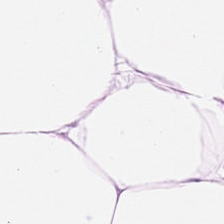FFPE tissue section. Hematoxylin and eosin. Adipose.
